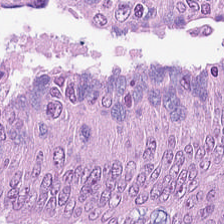Hematoxylin and eosin. Q: Identify the tissue.
A: The field shows adenocarcinoma.
